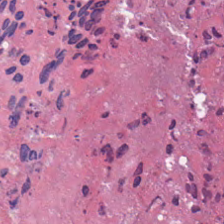H&E stain; 20× equivalent magnification.
This field is debris.
